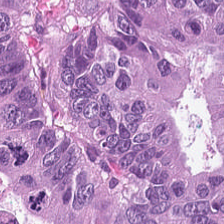Hematoxylin and eosin; FFPE; WSI patch — Impression → colorectal adenocarcinoma.
